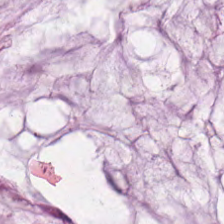H&E — mucus.
